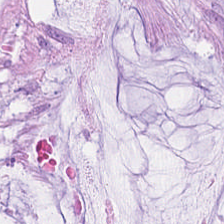H&E · 224×224 pixel tile.
The tissue type is mucin.
